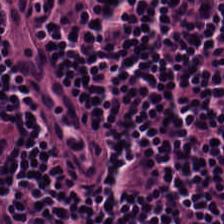H&E · WSI patch — The predominant tissue is lymphocytes.
